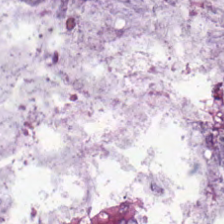Hematoxylin and eosin.
The predominant tissue is mucus.
